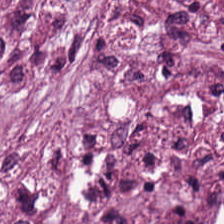H&E-stained tissue section — Q: What is the predominant tissue type?
A: Tumor-associated stroma.
